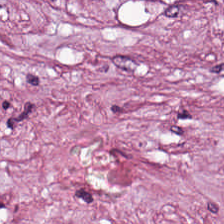H&E stain — Histology — tumor stroma.
